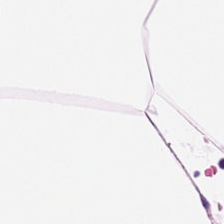This field is fat tissue.
